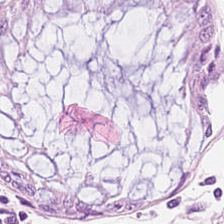Hematoxylin and eosin — Normal colonic mucosa.
